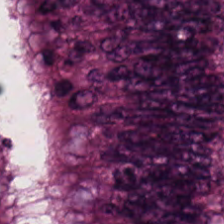Tissue type = colorectal adenocarcinoma.
